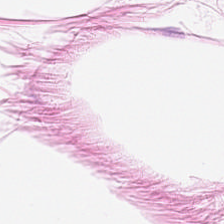H&E — This field is adipose tissue.
